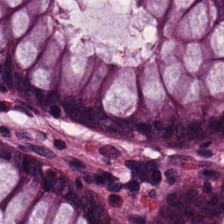Hematoxylin-and-eosin stained section — This field is non-neoplastic colon mucosa.
